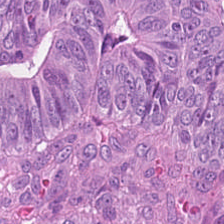Tissue: tumor epithelium.
